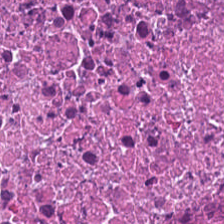H&E — Impression — cellular debris.
